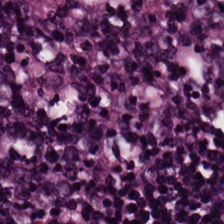Stain: hematoxylin-and-eosin stained section.
Preparation: FFPE.
Resolution: 0.5 microns per pixel.
Tissue: lymphocytic infiltrate.
